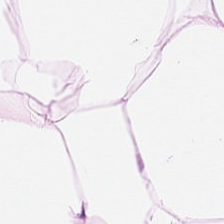Tissue: adipose.
